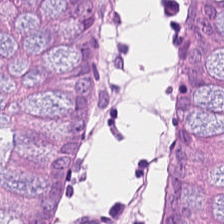Whole-slide-image patch; 0.5 µm per pixel; H&E-stained tissue section. The tissue here is normal colon mucosa.
